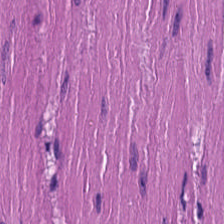H&E.
Predominantly muscularis.
